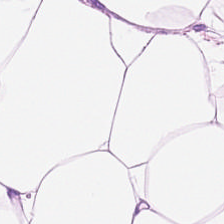{"tissue_type": "adipose"}
